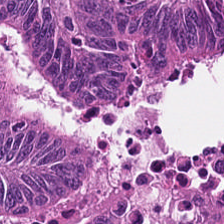H&E-stained tissue section.
Impression → malignant epithelium.
